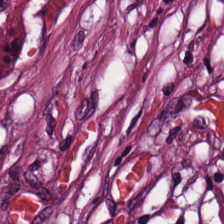Hematoxylin and eosin · 224×224 pixel tile — Histology — cancer-associated stroma.
